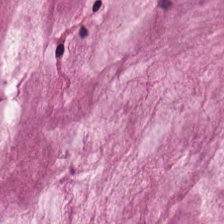224×224 pixel tile · H&E stain · FFPE tissue section — The predominant tissue is mucus.
